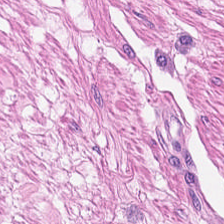H&E — Tissue type = smooth-muscle tissue.
